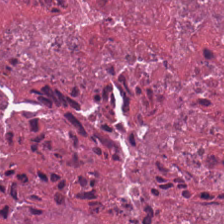Brightfield microscopy. H&E stain. Q: Identify the tissue.
A: The field shows cellular debris.
